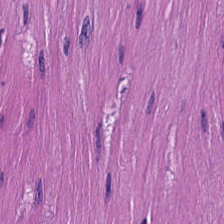H&E stain — Tissue: smooth-muscle tissue.
